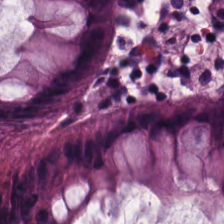H&E.
Q: What is the predominant tissue type?
A: The field shows non-neoplastic colon mucosa.
